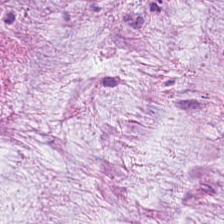Stain: H&E stain.
Tissue class: extracellular mucin.
